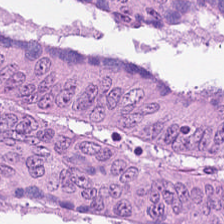Hematoxylin and eosin — Q: What type of tissue is this?
A: This is colorectal adenocarcinoma epithelium.
